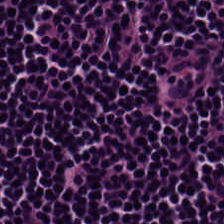Classification: lymphocyte aggregate.
